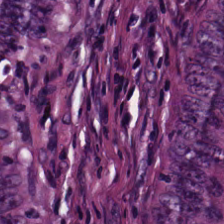H&E stain. Histology — tumor epithelium.
